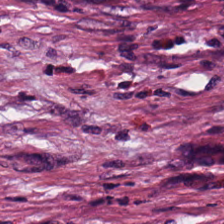Brightfield · 224×224 px tile · H&E-stained tissue section — Tissue = cancer-associated stroma.
